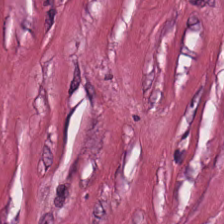The tissue is desmoplastic stroma.
